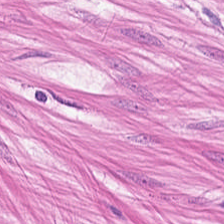H&E-stained tissue section — {"tissue_type": "smooth muscle"}
